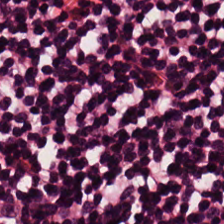H&E-stained tissue section. Finding → lymphocyte aggregate.
